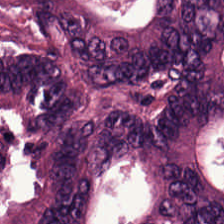H&E patch showing colorectal adenocarcinoma epithelium.
